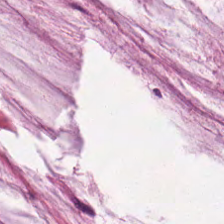H&E stain. The tissue type is mucus.
